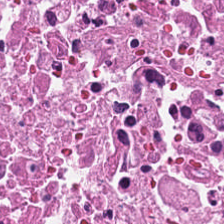Hematoxylin-and-eosin stained section. The tissue here is necrotic debris.
